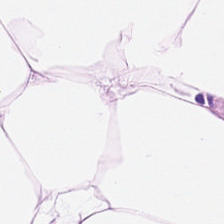Histology → fat tissue.
